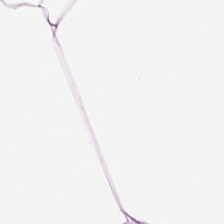FFPE tissue section · hematoxylin and eosin. Q: What tissue is shown?
A: This is adipose.
